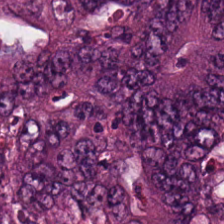H&E stain. WSI patch. Tissue class — adenocarcinoma.
